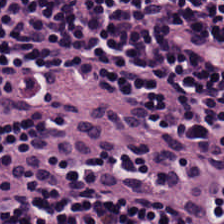Hematoxylin and eosin · whole-slide-image patch.
Impression — lymphoid infiltrate.
